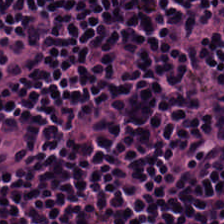0.5 µm/px; hematoxylin and eosin.
The tissue type is lymphocyte aggregate.
